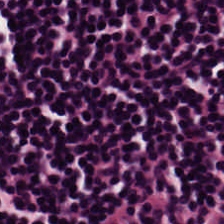Hematoxylin-and-eosin stained section. 0.5 µm per pixel.
This patch shows lymphoid infiltrate.
